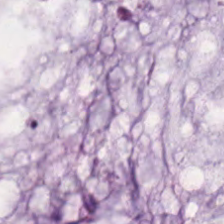H&E — The predominant tissue is extracellular mucin.
